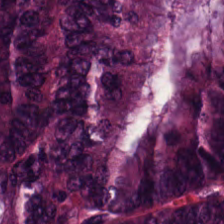H&E-stained tissue section — The predominant tissue is tumor epithelium.
